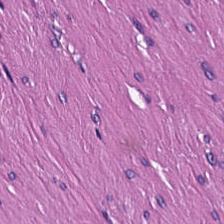0.5 µm/px; hematoxylin-and-eosin stained section — Q: What tissue type is shown here?
A: It is smooth-muscle tissue.
